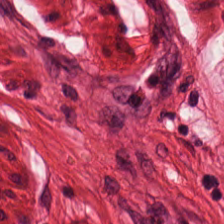Tissue = muscularis.
